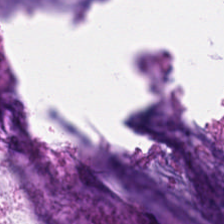H&E stain — Q: What is shown in this field?
A: The field shows mucus.
